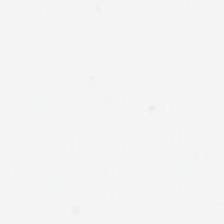Content = no tissue.
